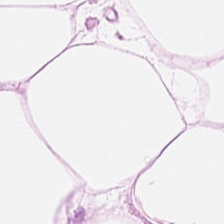H&E stain. Finding — fat tissue.
